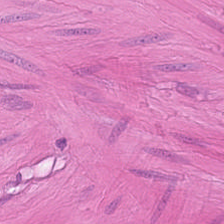Stain: H&E-stained tissue section.
Tissue: smooth-muscle tissue.
